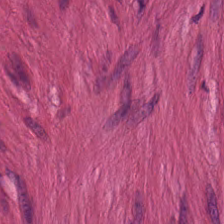Stain: H&E.
Tissue: smooth-muscle tissue.
